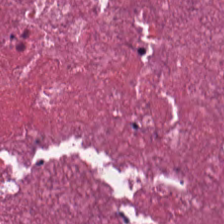FFPE; H&E; 0.5 µm per pixel.
Finding — debris.
